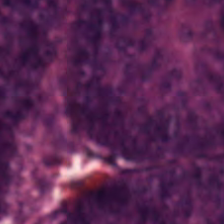Formalin-fixed paraffin-embedded section. H&E stain. Brightfield.
Predominant tissue = adenocarcinoma.
